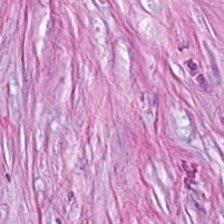Hematoxylin and eosin — The tissue here is cancer-associated stroma.
